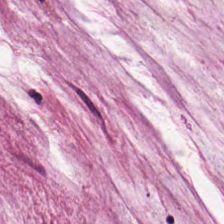0.5 µm/px · 224×224 px patch · hematoxylin-and-eosin stained section.
Predominant tissue: mucus.
